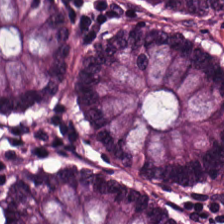Hematoxylin-and-eosin stained section. Showing benign colonic mucosa.
